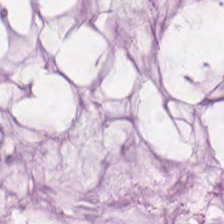{"tissue_type": "mucus"}
